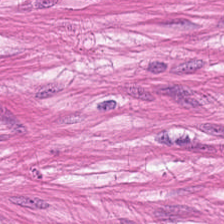H&E stain.
The tissue here is muscularis.
